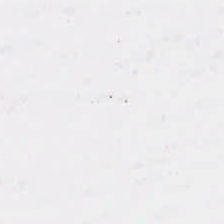224×224 pixel tile · hematoxylin-and-eosin stained section.
Content = no tissue.
